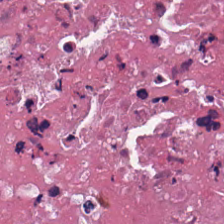H&E-stained tissue section; FFPE; 224×224 pixel tile — Predominant tissue — necrotic debris.
